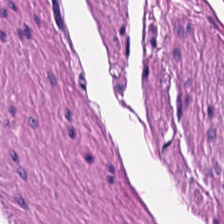Hematoxylin and eosin — Classification: smooth-muscle tissue.
